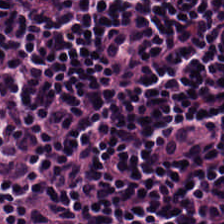Hematoxylin-and-eosin stained section · 0.5 µm/px.
Predominant tissue — lymphocytic infiltrate.
